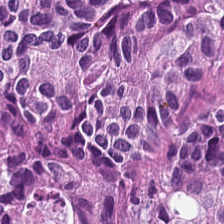H&E — {"tissue_type": "tumor epithelium"}
